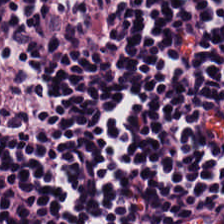224×224 px tile · hematoxylin-and-eosin stained section. Predominantly lymphocytes.
